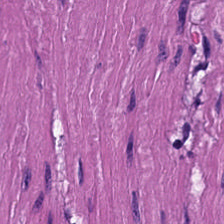H&E-stained tissue section — The tissue class is smooth-muscle tissue.
